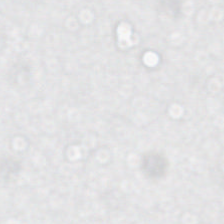Stain: H&E-stained tissue section.
Content: background (no tissue).
